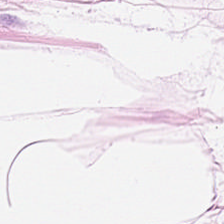Hematoxylin and eosin — Histology — fat tissue.
